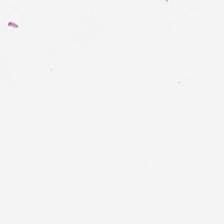Empty field — background (no tissue).
